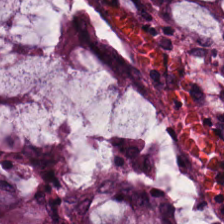WSI patch. Hematoxylin and eosin. FFPE tissue section.
Predominant tissue = non-neoplastic colon mucosa.
